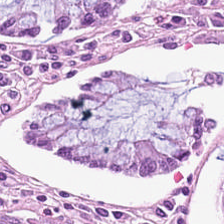Q: What type of tissue is this?
A: This is normal colon mucosa.
